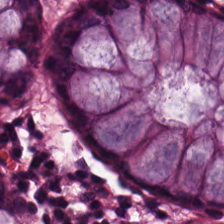H&E-stained tissue section. Impression → normal colon mucosa.
